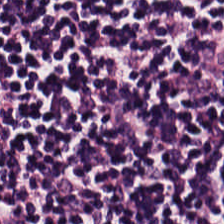H&E-stained tissue section.
Predominantly lymphoid infiltrate.
